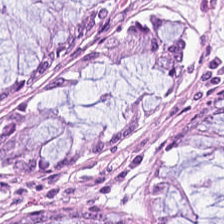H&E-stained tissue section — Showing normal colon mucosa.
